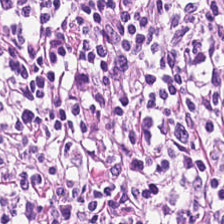Hematoxylin-and-eosin stained section · 0.5 µm per pixel. {"tissue_type": "lymphocyte aggregate"}
